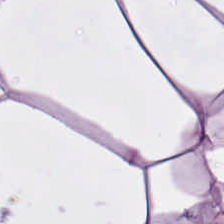Predominantly adipose tissue.
